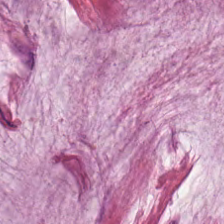H&E stain — Q: What is the predominant tissue type?
A: Mucin.
